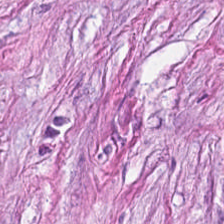H&E — Predominant tissue — tumor stroma.
